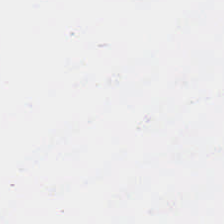Hematoxylin and eosin. 0.5 µm per pixel. Background — no tissue in this field.
